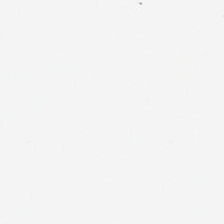Hematoxylin-and-eosin stained section.
No tissue present; background only.
